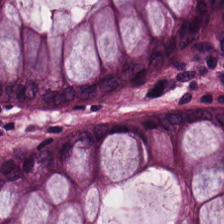Stain: H&E-stained tissue section.
Resolution: 0.5 µm/px.
Acquisition: WSI patch.
Tissue class: benign colonic mucosa.
